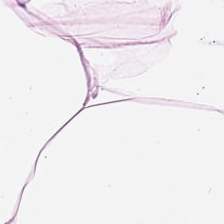H&E — adipose.
